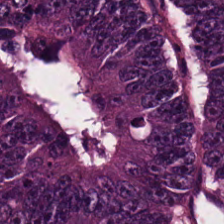H&E-stained tissue section.
Classification: malignant epithelium.
